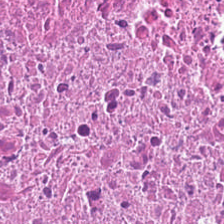H&E; whole-slide-image patch. Finding — necrotic debris.
